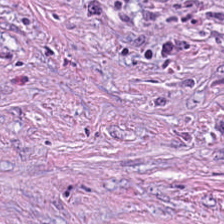The tissue is desmoplastic stroma.
